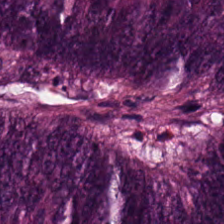Hematoxylin-and-eosin stained section.
Colorectal adenocarcinoma epithelium.
